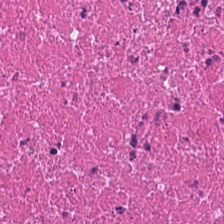Hematoxylin-and-eosin stained section. Q: What is shown in this field?
A: This is necrotic debris.
